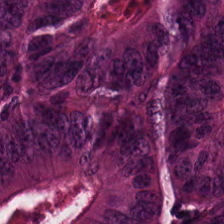H&E. The classification is malignant epithelium.
